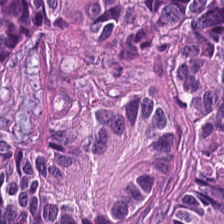H&E-stained tissue section. {"tissue_type": "colorectal adenocarcinoma"}
